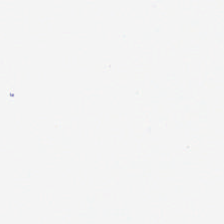H&E-stained tissue section — Impression — background.
